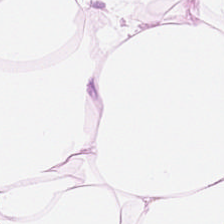H&E stain · 224×224 px tile. Predominantly adipose tissue.
